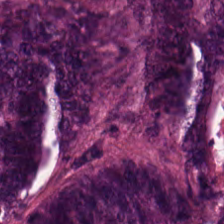Adenocarcinoma.
